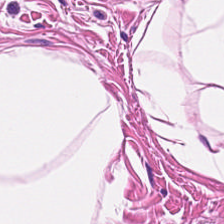Hematoxylin-and-eosin section: smooth muscle.
